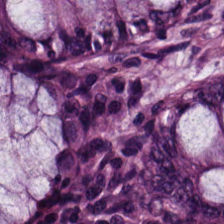H&E-stained tissue section showing benign colonic mucosa.
